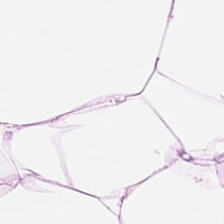Hematoxylin-and-eosin stained section. 20× equivalent magnification — This field is adipocytes.
